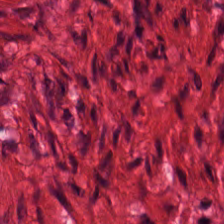H&E stain — Smooth-muscle tissue.
